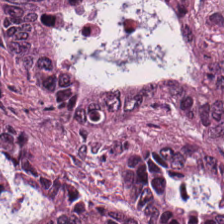0.5 µm per pixel. H&E-stained tissue section — This patch shows colorectal adenocarcinoma epithelium.
